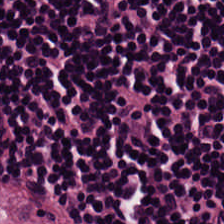224×224 px tile. H&E-stained tissue section.
The tissue here is lymphocyte aggregate.
